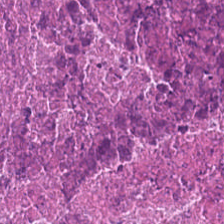WSI patch. Hematoxylin and eosin — Q: Identify the tissue.
A: The field shows cellular debris.
